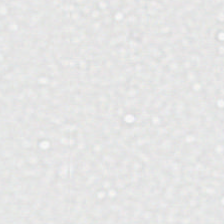Hematoxylin-and-eosin stained section. 0.5 µm per pixel. WSI patch — Field content = background (no tissue).
